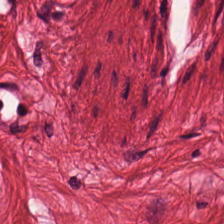H&E · 20× equivalent magnification.
The tissue here is smooth muscle.
